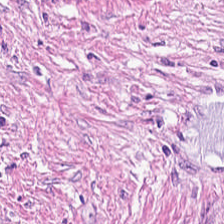Histology → tumor-associated stroma.
